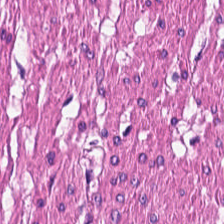H&E stain. The tissue type is muscularis.
